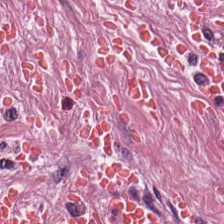Classification = desmoplastic stroma.
